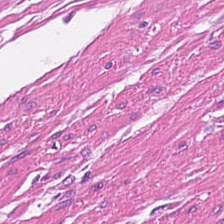H&E. 224×224 px patch — Q: What is shown here?
A: Smooth-muscle tissue.
